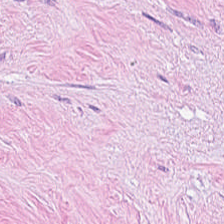H&E-stained tissue section. 0.5 µm/px.
This patch shows cancer-associated stroma.
